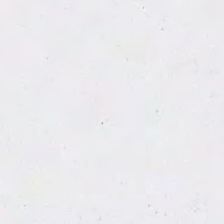Q: What is shown in this field?
A: It is background (no tissue).
